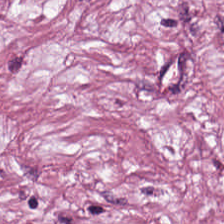Whole-slide-image patch. 224×224 px tile. Hematoxylin and eosin — Q: What is the predominant tissue type?
A: It is tumor-associated stroma.
